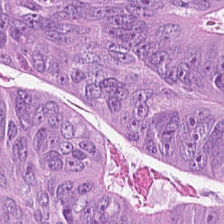20× equivalent magnification; hematoxylin-and-eosin stained section.
Predominantly tumor epithelium.
